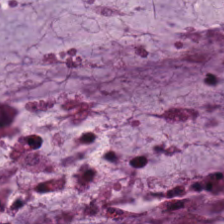H&E-stained tissue section. FFPE. Extracellular mucin.
